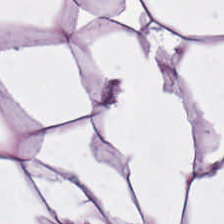H&E patch showing adipocytes.
